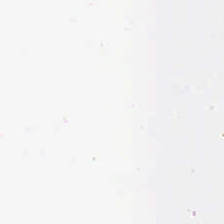FFPE tissue section · H&E stain · 224×224 pixel tile. Content — empty background.
